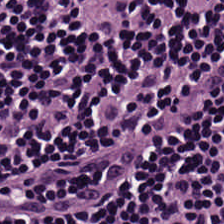H&E — The predominant tissue is lymphocytic infiltrate.
